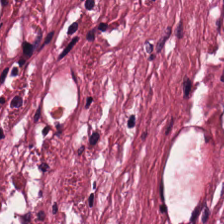0.5 µm per pixel. Hematoxylin and eosin. 224×224 px tile. Predominantly cancer-associated stroma.
